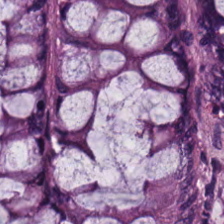H&E-stained section; the field shows normal colonic mucosa.
